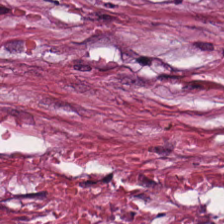H&E stain.
{"tissue_type": "tumor stroma"}
